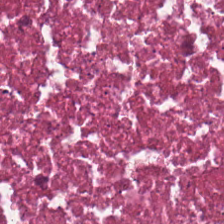H&E stain.
Finding — necrotic debris.
